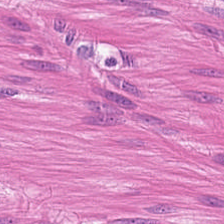Hematoxylin and eosin. Impression → muscularis.
